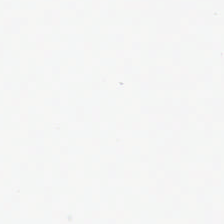H&E stain · formalin-fixed paraffin-embedded section · 0.5 µm/px — Content: empty background.
